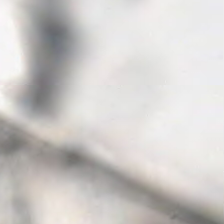Content: no tissue.
